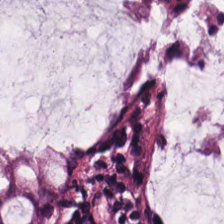Hematoxylin-and-eosin stained section. Q: Identify the tissue.
A: The field shows non-neoplastic colon mucosa.
